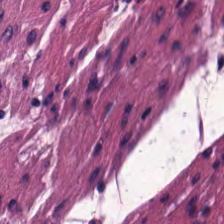Hematoxylin-and-eosin stained section · brightfield · 224×224 px tile.
{"tissue_type": "smooth-muscle tissue"}
